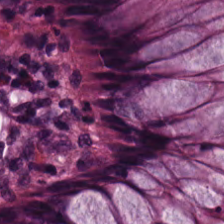Hematoxylin-and-eosin stained section.
The predominant tissue is normal colon mucosa.
